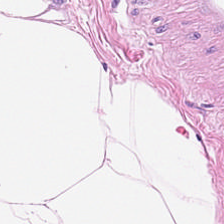Finding — adipocytes.
